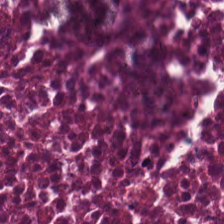H&E stain.
Tissue type = necrotic debris.
